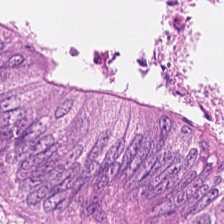0.5 µm per pixel. H&E-stained tissue section.
{"tissue_type": "malignant epithelium"}
